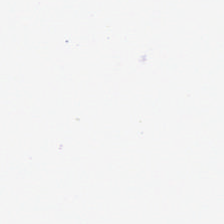Classification — no tissue.
